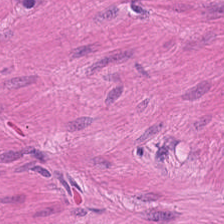Hematoxylin and eosin — Impression — muscularis.
